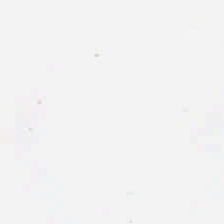Hematoxylin-and-eosin stained section. No tissue present; background only.
